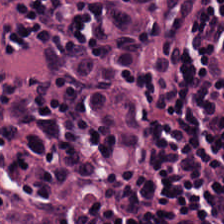Hematoxylin and eosin.
Q: What is shown here?
A: This is lymphocytes.
